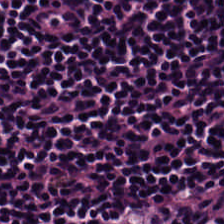The tissue class is lymphocytic infiltrate.
